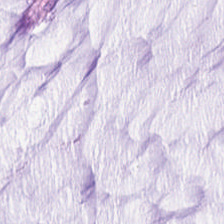20× equivalent magnification · hematoxylin and eosin · brightfield.
The tissue type is extracellular mucin.
